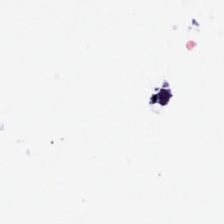Field content = no tissue.
